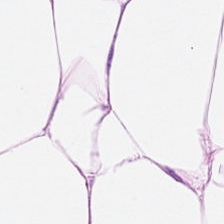H&E. The tissue here is adipocytes.
